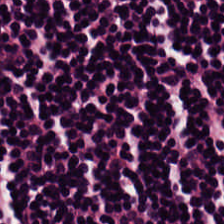224×224 px patch · 0.5 µm/px · H&E-stained tissue section — Q: What tissue type is shown here?
A: It is lymphocytic infiltrate.
